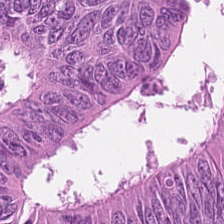H&E — This field is adenocarcinoma.
